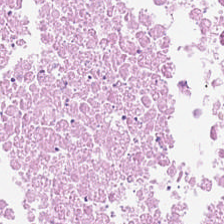Hematoxylin-and-eosin stained section.
{"tissue_type": "debris"}
